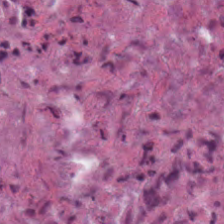Impression — debris.
